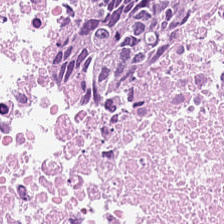Stain: H&E-stained tissue section.
Preparation: FFPE tissue section.
Tissue: necrotic debris.
